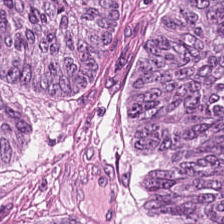Brightfield microscopy; hematoxylin and eosin; FFPE tissue section.
This patch shows malignant epithelium.
